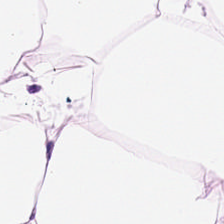20× equivalent magnification; formalin-fixed paraffin-embedded section; H&E-stained tissue section.
This field is fat tissue.
